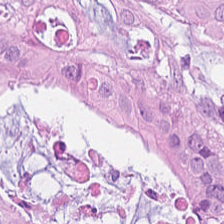Colorectal adenocarcinoma.
